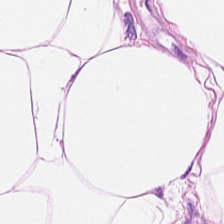FFPE; H&E — This patch shows adipose.
